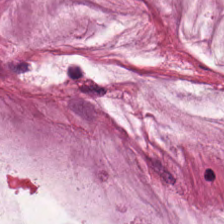H&E-stained tissue section — Histology — extracellular mucin.
